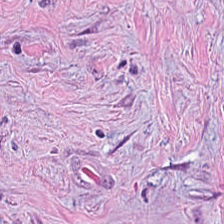H&E stain. FFPE tissue section. 224×224 px patch.
Impression — cancer-associated stroma.
